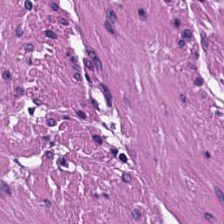Q: Identify the tissue.
A: It is muscularis.
